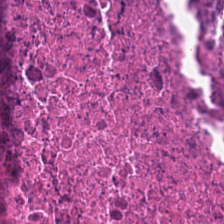Finding → necrotic debris.
